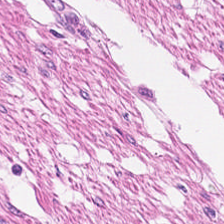0.5 µm/px. 224×224 px patch. H&E-stained tissue section.
Showing muscularis.
